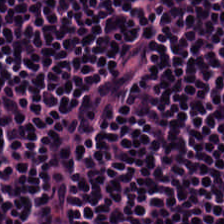Stain: H&E-stained tissue section.
Tissue class: lymphoid infiltrate.
